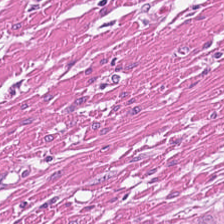H&E stain · 0.5 µm per pixel.
Impression → smooth muscle.
